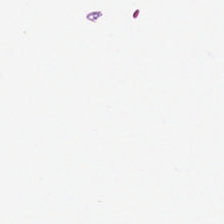H&E stain; 20× equivalent magnification. Background — no tissue in this field.
